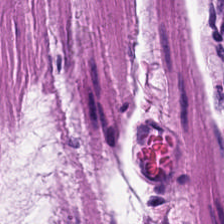0.5 microns per pixel. H&E. Predominantly muscularis.
